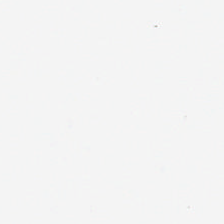224×224 pixel tile; formalin-fixed paraffin-embedded section; H&E. This field is background (no tissue).
